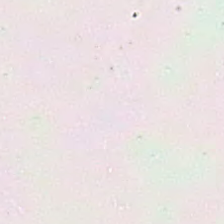Hematoxylin and eosin.
This field is background (no tissue).
